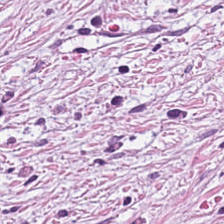Hematoxylin-and-eosin stained section. Histology → tumor-associated stroma.
